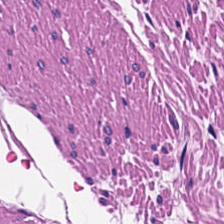Tissue type: muscularis.
